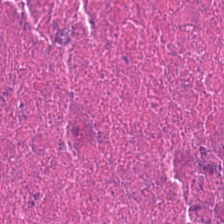Formalin-fixed paraffin-embedded section · H&E · 0.5 µm per pixel.
The tissue class is necrotic debris.
